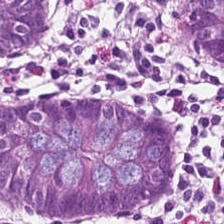Finding → benign colonic mucosa.
